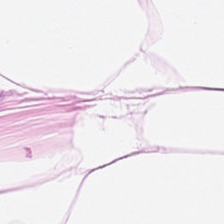224×224 px tile · H&E-stained tissue section.
The tissue class is fat tissue.
